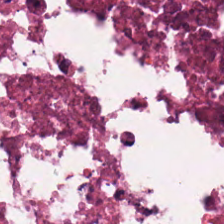H&E stain. The predominant tissue is debris.
